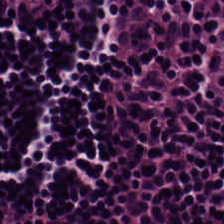H&E stain; FFPE tissue section. {"tissue_type": "lymphoid infiltrate"}
